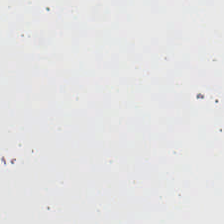Formalin-fixed paraffin-embedded section; 20× equivalent magnification; H&E-stained tissue section.
This patch shows empty background.
